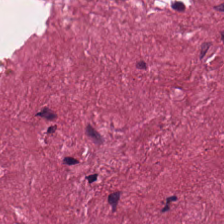Hematoxylin-and-eosin stained section.
Desmoplastic stroma.
